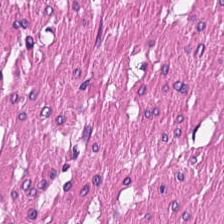H&E. Q: What tissue is shown?
A: The field shows smooth-muscle tissue.
